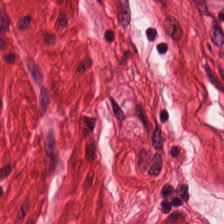Brightfield microscopy. 224×224 pixel tile. Hematoxylin-and-eosin stained section — Predominantly muscularis.
